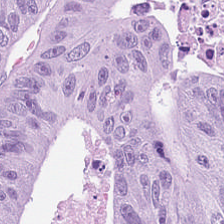0.5 microns per pixel. H&E-stained tissue section. Colorectal adenocarcinoma.
